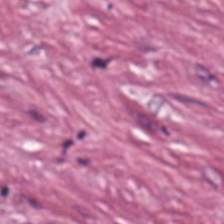H&E stain — Tissue = desmoplastic stroma.
